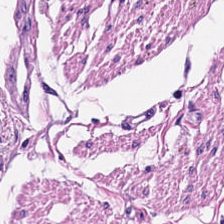Hematoxylin-and-eosin stained section · FFPE tissue section. Predominant tissue — muscularis.
